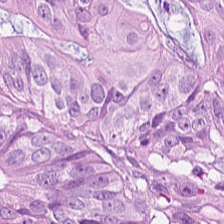This field is tumor epithelium.
